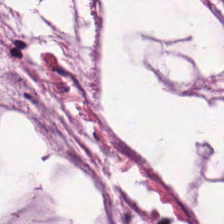H&E — Classification: mucus.
